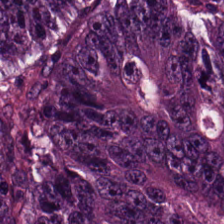Hematoxylin-and-eosin stained section — This field is colorectal adenocarcinoma epithelium.
